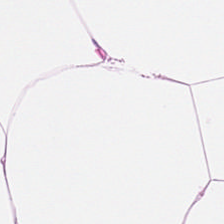This field is adipose tissue.
